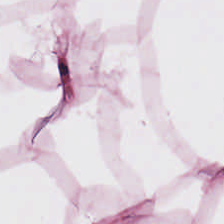H&E — This patch shows adipose.
